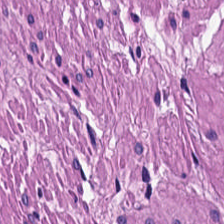H&E stain.
Muscularis.
